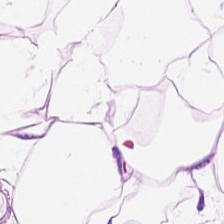H&E. This field is adipocytes.
